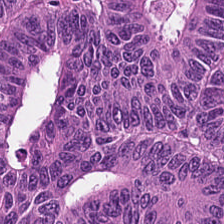224×224 px tile · 0.5 microns per pixel · hematoxylin-and-eosin stained section. Tissue class — tumor epithelium.
